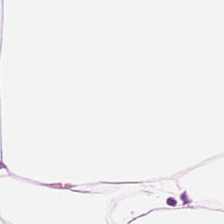Brightfield microscopy. Hematoxylin-and-eosin stained section. Adipose tissue.
